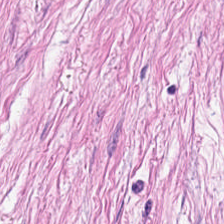Hematoxylin-and-eosin section: cancer-associated stroma.
